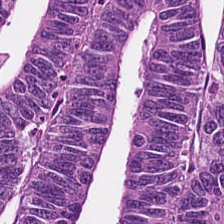H&E-stained tissue section; brightfield microscopy — Tissue type: adenocarcinoma.
